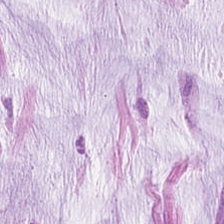Predominant tissue = mucin.
